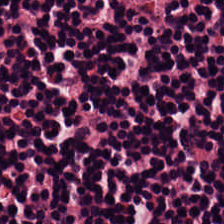Hematoxylin and eosin; 20× equivalent magnification — {"tissue_type": "lymphocytes"}
